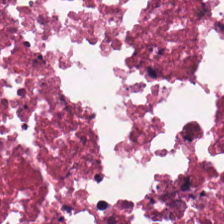Hematoxylin-and-eosin stained section.
Finding → necrotic debris.
